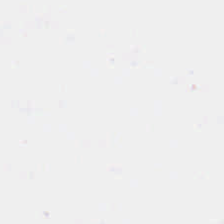Hematoxylin and eosin — Empty field — no tissue.
